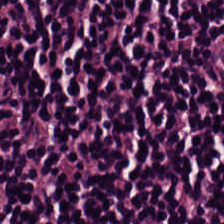H&E. Predominant tissue — lymphoid infiltrate.
